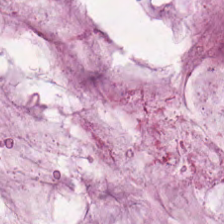H&E stain. WSI patch. 0.5 µm per pixel. Finding — extracellular mucin.
